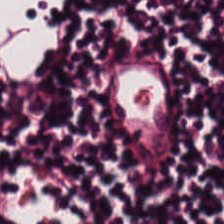Classification = lymphocytes.
